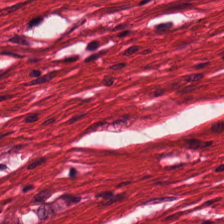H&E.
This patch shows smooth muscle.
